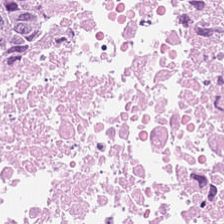H&E stain. Histology — necrotic debris.
